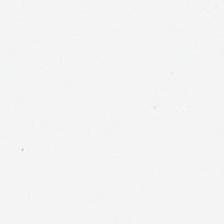H&E stain. No tissue present; background only.
